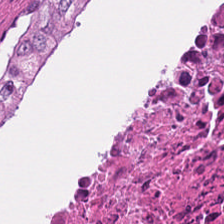H&E stain. FFPE tissue section. Q: What tissue type is shown here?
A: It is necrotic debris.
